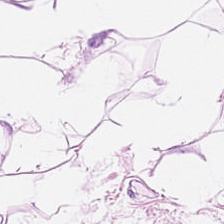Hematoxylin-and-eosin stained section. Predominantly fat tissue.
